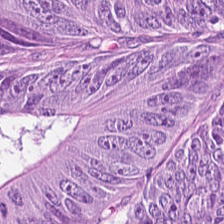Predominantly adenocarcinoma.
